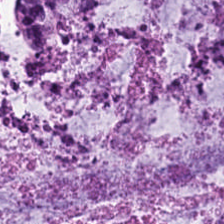H&E-stained tissue section — Q: What does this patch show?
A: Mucus.
